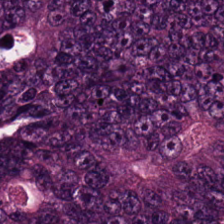Impression — tumor epithelium.
